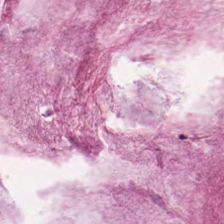FFPE tissue section. 20× equivalent magnification. H&E stain — Q: What is shown here?
A: Mucin.
